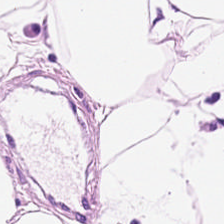H&E stain · whole-slide-image patch. Adipose tissue.
